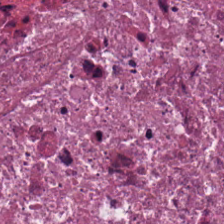This patch shows cellular debris.
